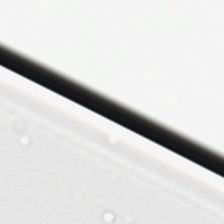H&E-stained tissue section. Classification: background (no tissue).
